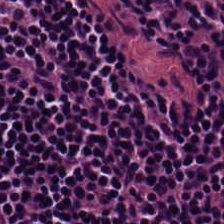20× equivalent magnification; H&E — Q: What type of tissue is this?
A: Lymphocytes.
